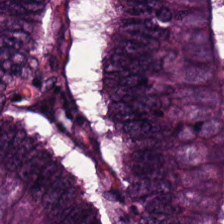Stain: hematoxylin and eosin.
Resolution: 20× equivalent magnification.
Tissue class: malignant epithelium.
